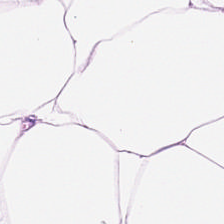H&E-stained tissue section — The predominant tissue is adipose.
